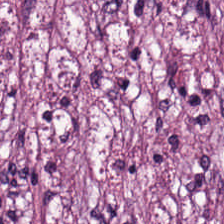Hematoxylin-and-eosin stained section.
{"tissue_type": "desmoplastic stroma"}
